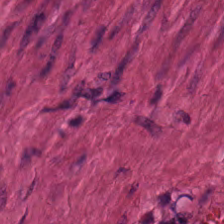Predominant tissue = smooth muscle.
